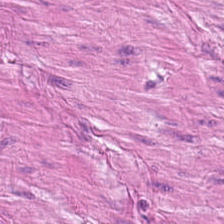H&E stain.
Q: What type of tissue is this?
A: It is smooth muscle.
